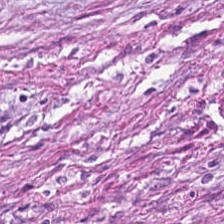FFPE. Hematoxylin-and-eosin stained section. 0.5 µm/px.
Classification = tumor stroma.
